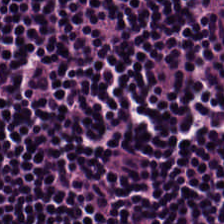Stain: H&E-stained tissue section.
Predominant tissue: lymphocytes.
